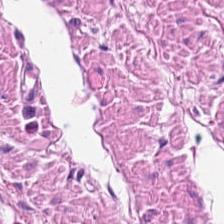H&E-stained tissue section.
Predominant tissue = muscularis.
